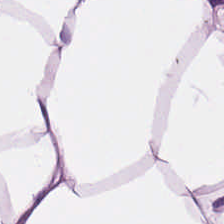Hematoxylin-and-eosin stained section; 20× equivalent magnification; 224×224 pixel tile — This field is adipose.
